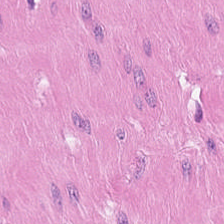H&E-stained tissue section — Histology — smooth-muscle tissue.
